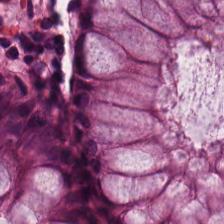224×224 pixel tile. H&E. Tissue type: normal colonic mucosa.
